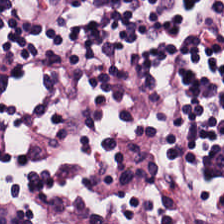H&E. Finding — lymphocyte aggregate.
